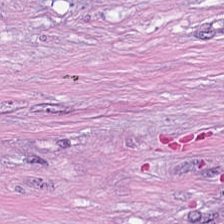Hematoxylin-and-eosin stained section — Predominant tissue — tumor stroma.
